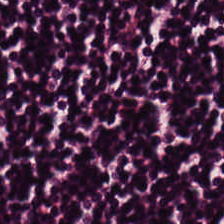The tissue here is lymphocytes.
